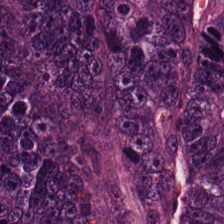WSI patch. H&E-stained tissue section. FFPE. The predominant tissue is colorectal adenocarcinoma epithelium.
